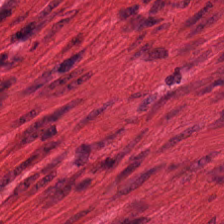H&E stain. The classification is smooth muscle.
